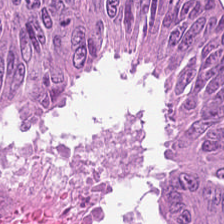H&E-stained tissue section showing colorectal adenocarcinoma.
